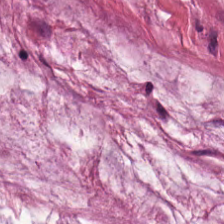Stain: hematoxylin and eosin.
Tissue class: mucin.
